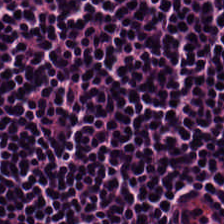H&E-stained tissue section — Predominant tissue: lymphoid infiltrate.
